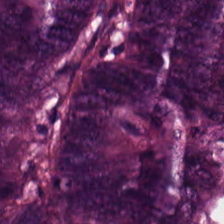H&E.
Predominantly tumor epithelium.
